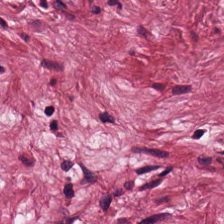Hematoxylin-and-eosin section: tumor stroma.
